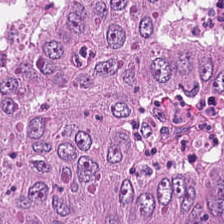224×224 px patch · H&E stain · WSI patch.
{"tissue_type": "malignant epithelium"}
